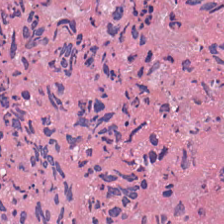Stain: hematoxylin and eosin.
Tissue class: debris.
